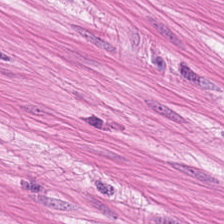H&E; 20× equivalent magnification — The tissue here is muscularis.
